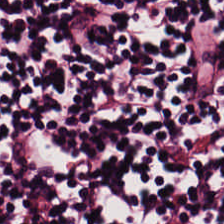H&E-stained tissue section — Q: Classify this patch.
A: The field shows lymphocytic infiltrate.
